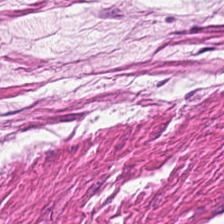Brightfield microscopy; hematoxylin and eosin; 0.5 microns per pixel. Histology → muscularis.
